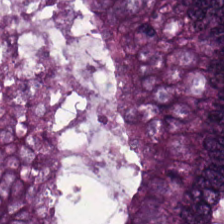The predominant tissue is colorectal adenocarcinoma epithelium.
